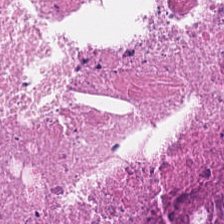224×224 px tile; H&E stain — Classification — debris.
